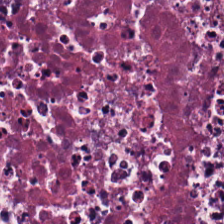H&E; whole-slide-image patch. Q: What is shown in this field?
A: It is cellular debris.
